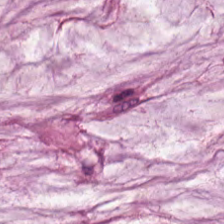H&E-stained tissue section. This field is mucus.
